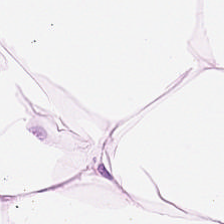Q: What does this patch show?
A: It is adipose.
